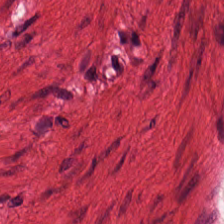H&E stain — Showing smooth-muscle tissue.
